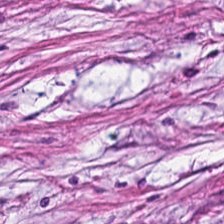Finding — tumor stroma.
